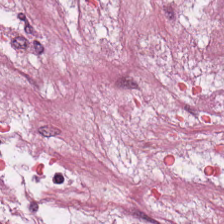Formalin-fixed paraffin-embedded section · H&E stain — The tissue type is tumor stroma.
